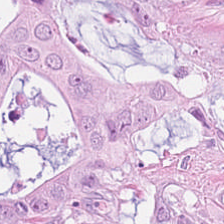20× equivalent magnification; H&E-stained tissue section; WSI patch. {"tissue_type": "colorectal adenocarcinoma"}
